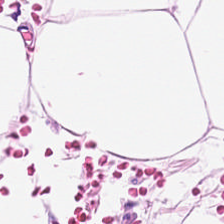H&E stain — Classification — adipose tissue.
